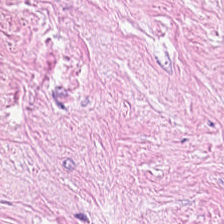H&E; 20× equivalent magnification.
Predominant tissue: tumor stroma.
